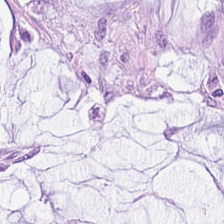Hematoxylin-and-eosin stained section. Histology → mucus.
